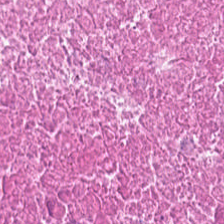Brightfield. H&E stain. Predominantly debris.
